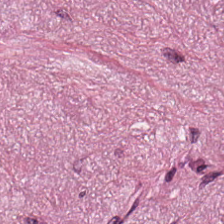Stain: hematoxylin and eosin.
Predominant tissue: cancer-associated stroma.
